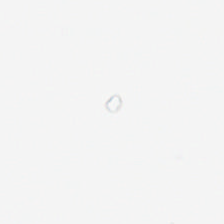H&E stain.
{"content": "background"}
